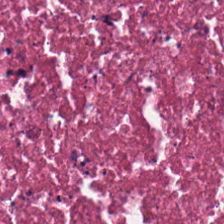Predominant tissue — necrotic debris.
